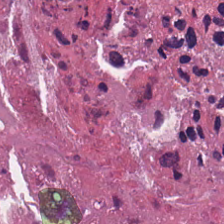Stain: H&E stain.
Tissue: debris.
